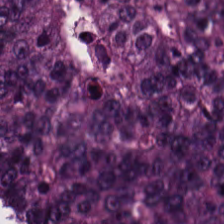FFPE; H&E stain — Classification — adenocarcinoma.
